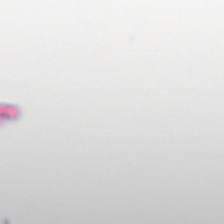H&E-stained tissue section. Q: What is shown here?
A: No tissue.
